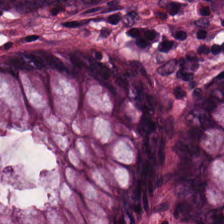Hematoxylin-and-eosin stained section. Histology → benign colonic mucosa.
